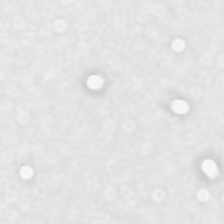Stain: H&E stain.
Acquisition: whole-slide-image patch.
Tile size: 224×224 pixel tile.
Field content: background.
